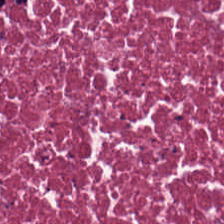Q: What is shown in this field?
A: The field shows cellular debris.
